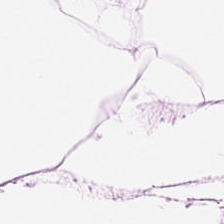224×224 px tile · hematoxylin-and-eosin stained section.
This field is adipose tissue.
